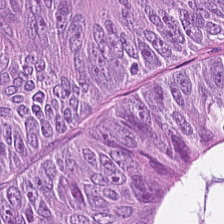The tissue here is tumor epithelium.
